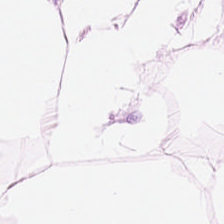H&E stain.
Finding — adipocytes.
